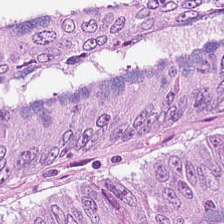Hematoxylin and eosin; 224×224 pixel tile. Predominantly colorectal adenocarcinoma.
